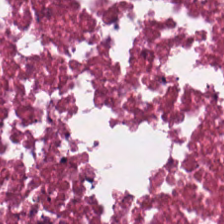H&E.
This patch shows necrotic debris.
